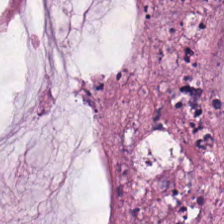H&E patch showing extracellular mucin.
